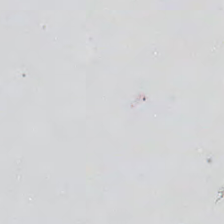No tissue present; background only.
